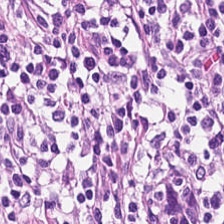Hematoxylin and eosin. Brightfield — Showing lymphoid infiltrate.
